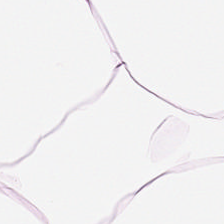H&E stain.
Predominantly fat tissue.
